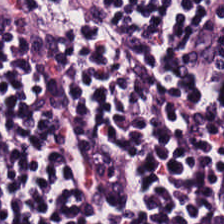Predominant tissue — lymphocyte aggregate.
